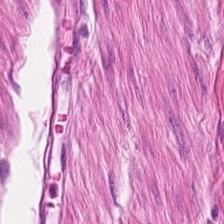Hematoxylin and eosin — Predominant tissue: smooth muscle.
